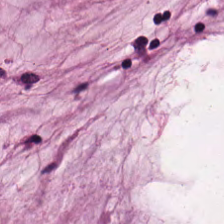Tissue type — mucin.
